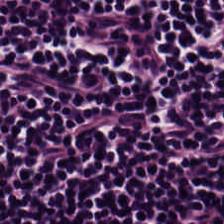H&E-stained tissue section.
Histology — lymphoid infiltrate.
